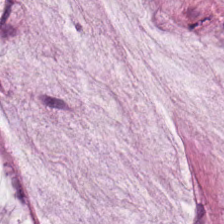Predominant tissue: mucin.
